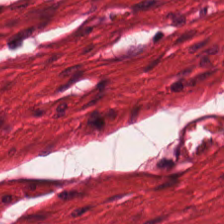Histology → smooth muscle.
